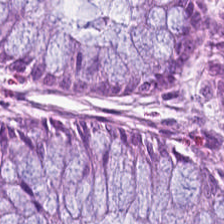Stain: H&E stain.
Classification: benign colonic mucosa.
